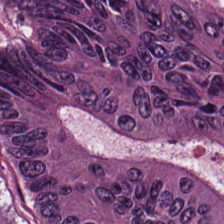The predominant tissue is malignant epithelium.
